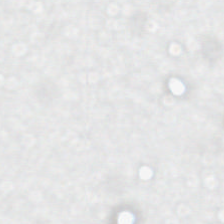Finding → empty background.
